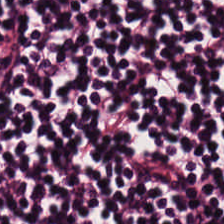Stain: H&E-stained tissue section.
Classification: lymphocytic infiltrate.
